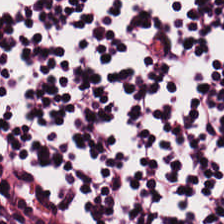Hematoxylin-and-eosin stained section.
This patch shows lymphocytes.
